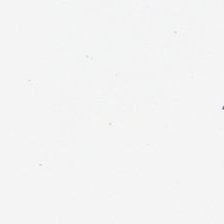H&E; whole-slide-image patch. Empty field — background (no tissue).
